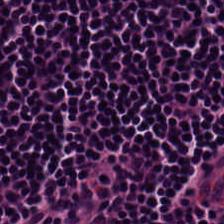The tissue here is lymphoid infiltrate.
